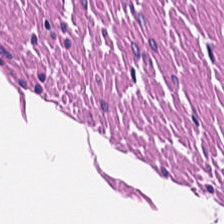H&E-stained tissue section. The tissue here is smooth muscle.
